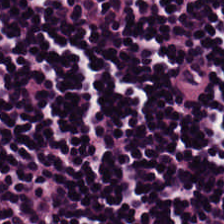H&E stain.
Showing lymphoid infiltrate.
